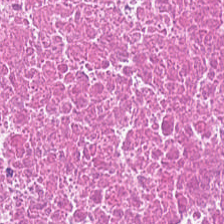Tissue: debris.
